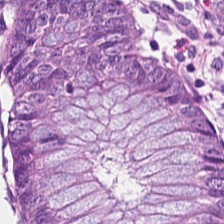Stain: H&E stain.
Predominant tissue: benign colonic mucosa.
